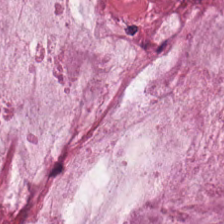Hematoxylin-and-eosin stained section.
Classification: mucus.
